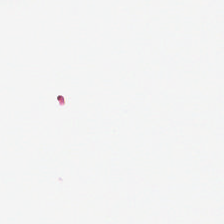Hematoxylin-and-eosin stained section. 0.5 µm/px — This field is background (no tissue).
